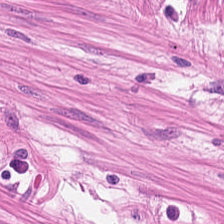Stain: hematoxylin and eosin.
Tissue class: muscularis.
